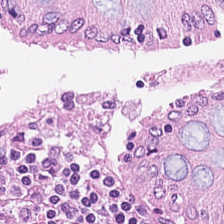This field is benign colonic mucosa.
